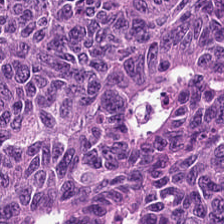Brightfield microscopy. Hematoxylin and eosin.
The tissue here is colorectal adenocarcinoma epithelium.
